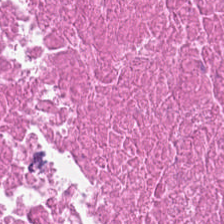Hematoxylin-and-eosin stained section.
The predominant tissue is debris.
